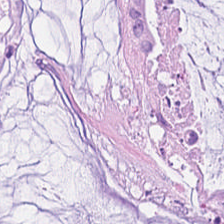Hematoxylin and eosin. Classification — mucus.
